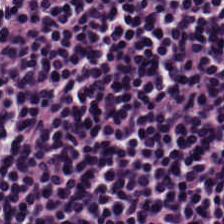Formalin-fixed paraffin-embedded section. Hematoxylin and eosin.
Showing lymphocytes.
